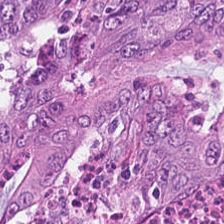Q: What tissue type is shown here?
A: Colorectal adenocarcinoma epithelium.
